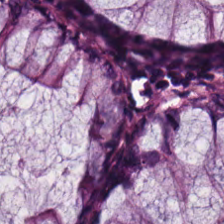H&E stain; brightfield microscopy; formalin-fixed paraffin-embedded section. This field is non-neoplastic colon mucosa.
